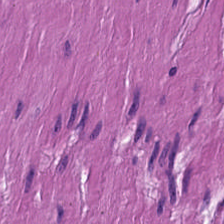224×224 px tile. Hematoxylin and eosin — Predominant tissue: muscularis.
